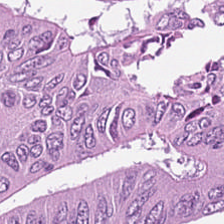0.5 µm/px; FFPE tissue section; hematoxylin-and-eosin stained section. Showing tumor epithelium.
